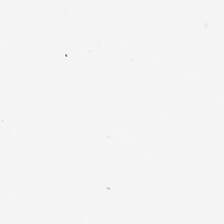Hematoxylin-and-eosin stained section — Histology → no tissue.
